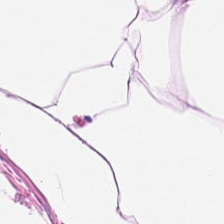Finding — adipocytes.
